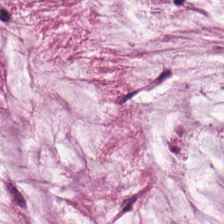WSI patch; hematoxylin-and-eosin stained section — This field is mucus.
